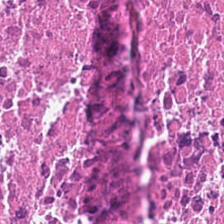Hematoxylin and eosin. Tissue class = debris.
